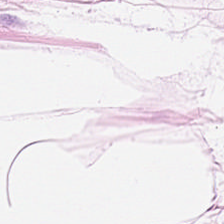Q: What is shown here?
A: This is adipose.
